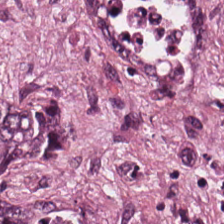H&E-stained section; the field shows tumor epithelium.
